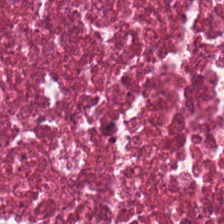Stain: H&E stain.
Acquisition: whole-slide-image patch.
Preparation: formalin-fixed paraffin-embedded section.
Classification: debris.
